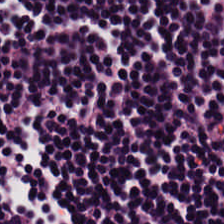H&E-stained tissue section — This patch shows lymphocytes.
